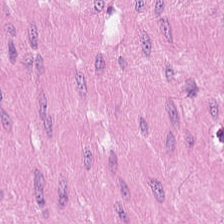Stain: hematoxylin-and-eosin stained section.
Tissue class: smooth muscle.
